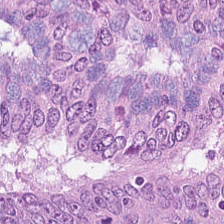WSI patch. H&E stain — Tissue class — malignant epithelium.
